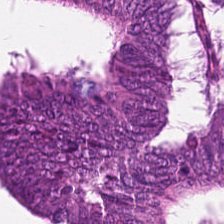Hematoxylin-and-eosin stained section — Tissue class: adenocarcinoma.
